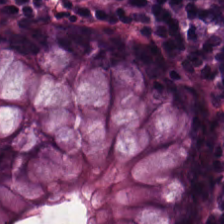Stain: hematoxylin-and-eosin stained section.
Tissue: non-neoplastic colon mucosa.
